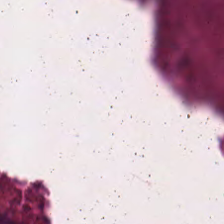This field is necrotic debris.
